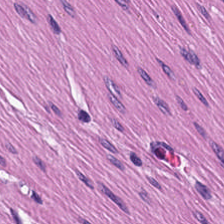Formalin-fixed paraffin-embedded section; H&E-stained tissue section.
Smooth-muscle tissue.
